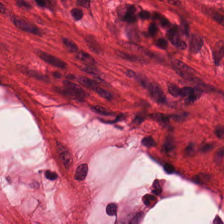Hematoxylin-and-eosin stained section. 0.5 µm per pixel. FFPE tissue section.
Tissue = muscularis.
